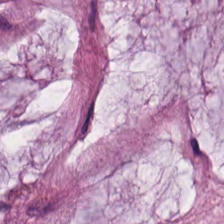Hematoxylin-and-eosin stained section — The predominant tissue is extracellular mucin.
